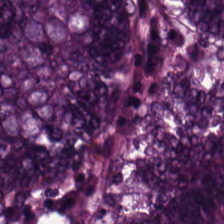Hematoxylin-and-eosin stained section.
This patch shows adenocarcinoma.
